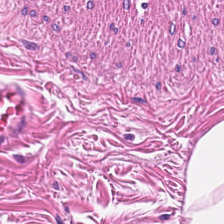H&E. 0.5 microns per pixel. Whole-slide-image patch. Muscularis.
